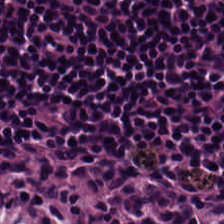H&E stain.
Predominantly lymphocytes.
